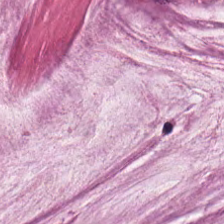Stain: H&E stain.
Classification: mucus.
